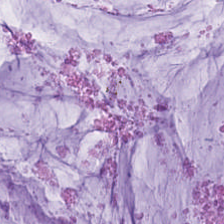Classification — mucin.
